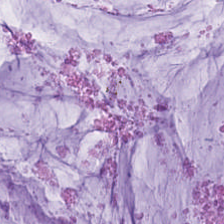Classification — mucin.
